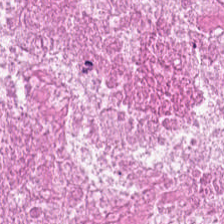Tissue type — debris.
